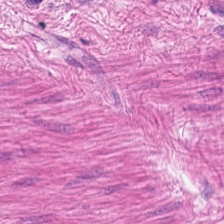H&E-stained tissue section.
The tissue is smooth-muscle tissue.
